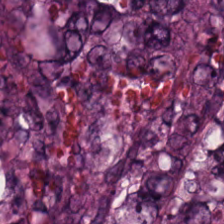H&E-stained tissue section.
The tissue type is tumor epithelium.
